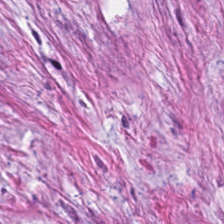H&E-stained tissue section — The classification is desmoplastic stroma.
